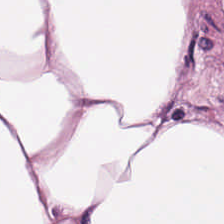H&E-stained tissue section. Impression → adipose tissue.
